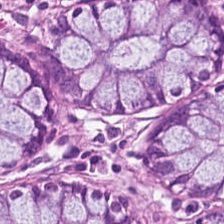224×224 pixel tile. Hematoxylin-and-eosin stained section. Brightfield.
Predominantly normal colon mucosa.
